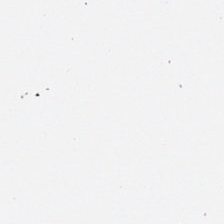Hematoxylin and eosin. Empty field — empty background.
